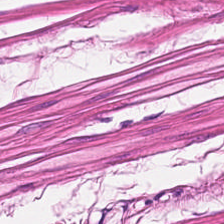Stain: hematoxylin and eosin.
Predominant tissue: muscularis.
